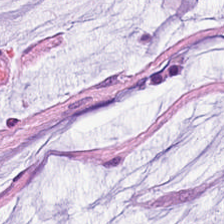H&E-stained tissue section · 224×224 pixel tile.
Q: What does this patch show?
A: The field shows mucus.
